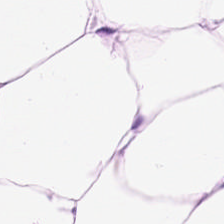Hematoxylin-and-eosin stained section · 0.5 microns per pixel.
The predominant tissue is adipose.
